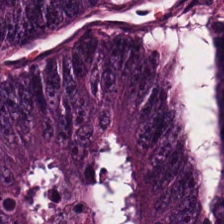H&E-stained tissue section.
{"tissue_type": "tumor epithelium"}
